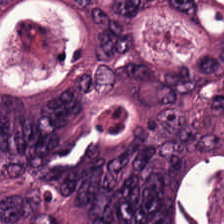H&E stain. 0.5 µm/px — Predominantly colorectal adenocarcinoma.
